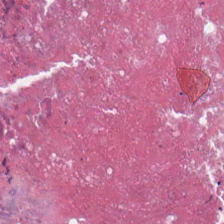H&E stain; 0.5 µm/px — {"tissue_type": "cellular debris"}
